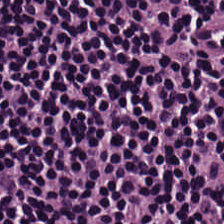Hematoxylin-and-eosin stained section. Finding — lymphocytes.
